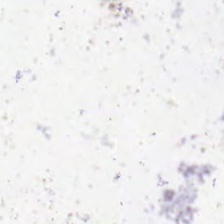0.5 µm/px · 224×224 pixel tile · H&E.
The field content is empty background.
